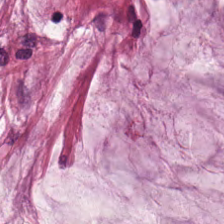H&E. 0.5 microns per pixel — This field is mucus.
